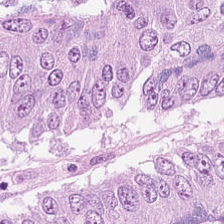Q: What type of tissue is this?
A: This is colorectal adenocarcinoma.
